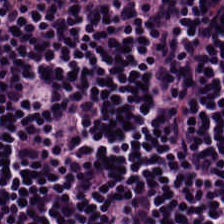20× equivalent magnification · H&E.
Predominantly lymphocytes.
